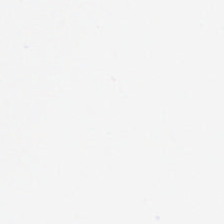FFPE. Hematoxylin and eosin.
The classification is background (no tissue).
